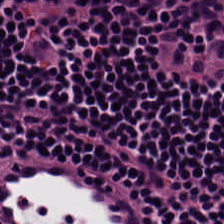H&E-stained tissue section — Tissue: lymphocyte aggregate.
